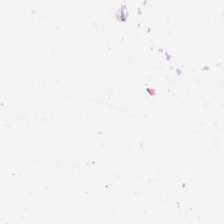H&E stain · 224×224 px tile.
Background — no tissue in this field.
